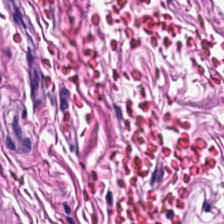Hematoxylin-and-eosin stained section · 20× equivalent magnification · WSI patch — Tissue: muscularis.
